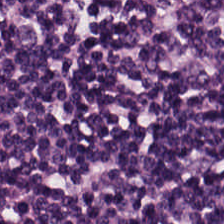H&E-stained tissue section — Impression — lymphocytic infiltrate.
